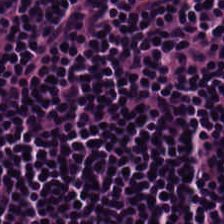Hematoxylin-and-eosin stained section. 224×224 px tile. 20× equivalent magnification.
Q: What is shown in this field?
A: The field shows lymphocyte aggregate.
